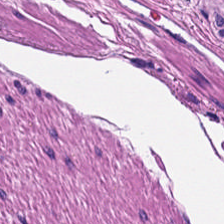Hematoxylin-and-eosin stained section. 224×224 px tile.
This field is smooth muscle.
